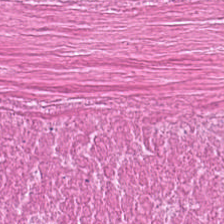This field is necrotic debris.
